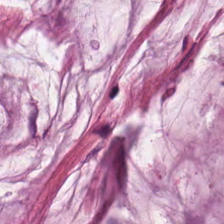H&E stain. Predominant tissue = mucus.
